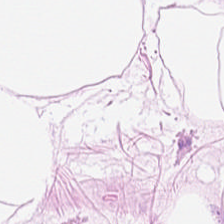Stain: H&E.
Predominant tissue: adipose tissue.
